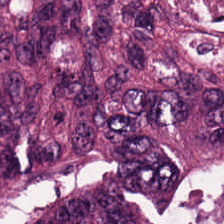H&E-stained tissue section.
This patch shows colorectal adenocarcinoma.
